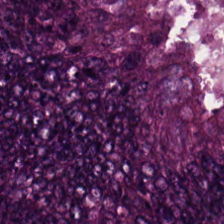Hematoxylin and eosin. Histology — adenocarcinoma.
